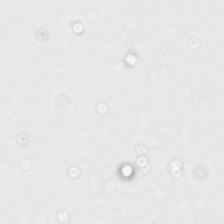Stain: H&E-stained tissue section.
Content: empty background.
